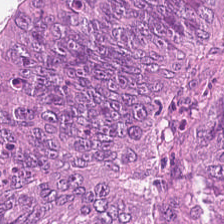Q: What does this patch show?
A: Malignant epithelium.
